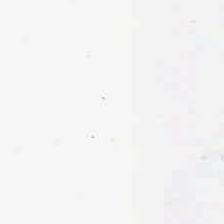This field is background (no tissue).
